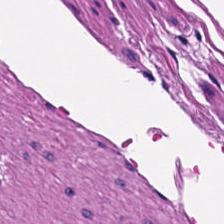Hematoxylin and eosin.
Showing smooth-muscle tissue.
